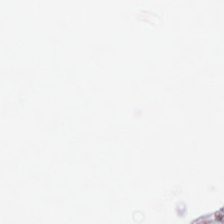H&E-stained tissue section — Empty field — background.
